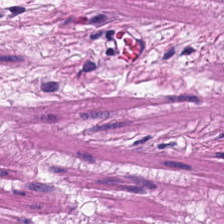Hematoxylin and eosin — Q: What is shown in this field?
A: The field shows smooth-muscle tissue.
